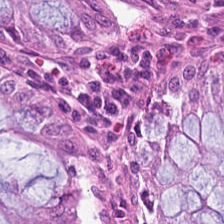Hematoxylin-and-eosin stained section — {"tissue_type": "benign colonic mucosa"}
